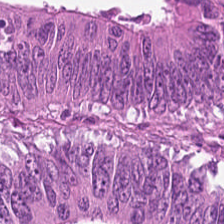224×224 pixel tile; FFPE tissue section; H&E stain.
Q: Identify the tissue.
A: It is tumor epithelium.
